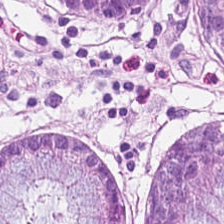This field is non-neoplastic colon mucosa.
